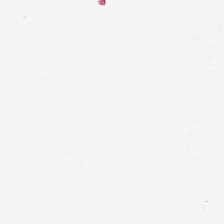Impression — empty background.
